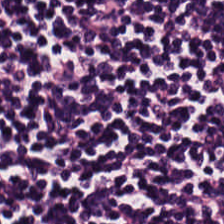The tissue is lymphocyte aggregate.
